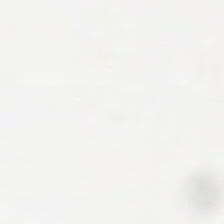Background.
